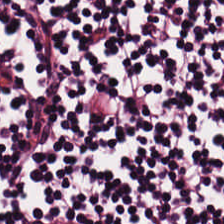H&E; 0.5 µm per pixel; 224×224 px tile — The tissue is lymphocyte aggregate.
